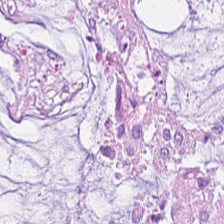Hematoxylin and eosin — Tissue — mucin.
